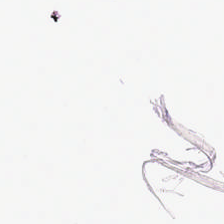0.5 µm per pixel · brightfield microscopy · H&E-stained tissue section. Background.
